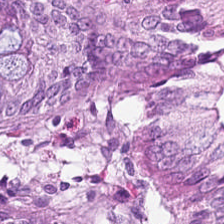Stain: hematoxylin-and-eosin stained section.
Tissue class: benign colonic mucosa.
